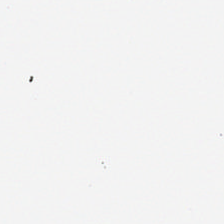Stain: H&E.
Field content: no tissue.
